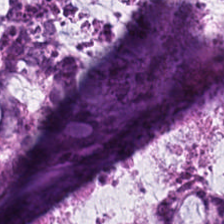H&E-stained tissue section. FFPE. 20× equivalent magnification. The predominant tissue is extracellular mucin.
